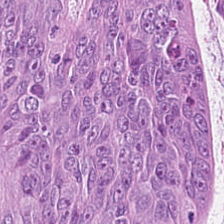224×224 pixel tile · 0.5 µm per pixel · hematoxylin and eosin.
Showing malignant epithelium.
